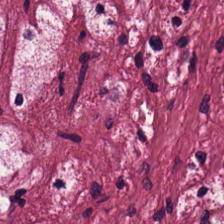Stain: hematoxylin-and-eosin stained section.
Acquisition: whole-slide-image patch.
Tile size: 224×224 pixel tile.
Classification: tumor-associated stroma.
